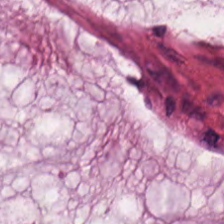Hematoxylin and eosin. Brightfield microscopy. Q: What is shown here?
A: Mucin.
